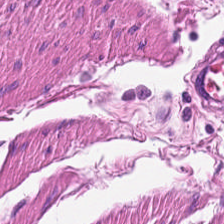H&E-stained tissue section — Classification: muscularis.
